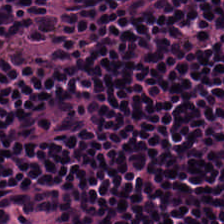224×224 px tile. Hematoxylin and eosin. 0.5 µm per pixel. The predominant tissue is lymphocytes.
